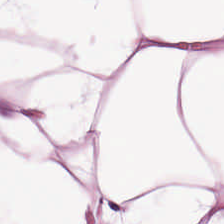H&E. 0.5 µm per pixel — Classification = adipocytes.
